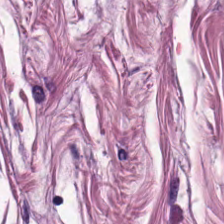Muscularis.
